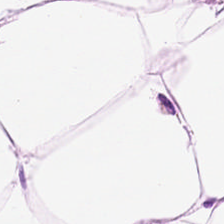This patch shows adipose tissue.
